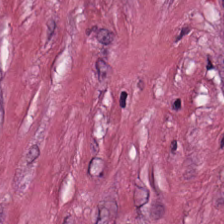Hematoxylin and eosin.
This field is cancer-associated stroma.
